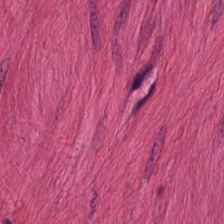H&E — Showing smooth muscle.
